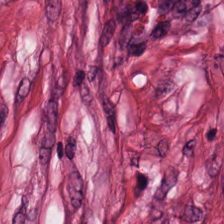Finding → cancer-associated stroma.
